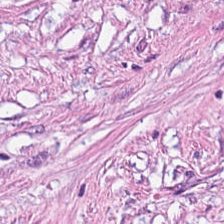H&E-stained tissue section. Q: What is shown here?
A: The field shows tumor-associated stroma.
